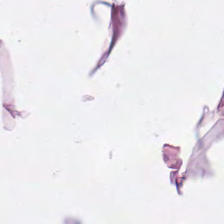H&E stain — {"tissue_type": "adipocytes"}
